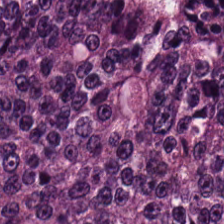Stain: hematoxylin and eosin.
Predominant tissue: adenocarcinoma.
